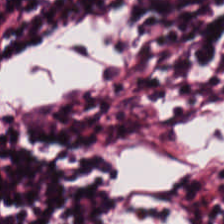H&E stain. 0.5 µm/px — Showing lymphocytic infiltrate.
